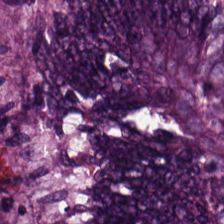Tissue type: colorectal adenocarcinoma epithelium.
